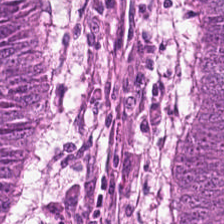H&E. Brightfield. 224×224 px tile.
The tissue class is colorectal adenocarcinoma.
